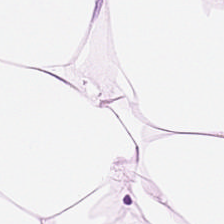Predominant tissue: adipose tissue.
